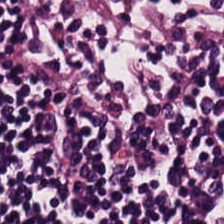H&E stain. Tissue class: lymphocytes.
